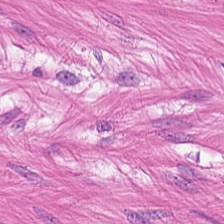H&E · formalin-fixed paraffin-embedded section — Q: What is the predominant tissue type?
A: Smooth muscle.
